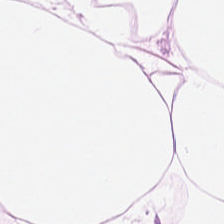Hematoxylin and eosin.
This field is adipocytes.
